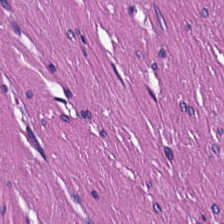H&E; whole-slide-image patch.
{"tissue_type": "smooth muscle"}
